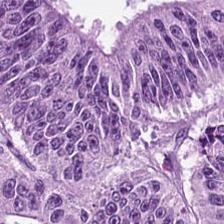H&E stain; brightfield microscopy.
{"tissue_type": "colorectal adenocarcinoma"}
